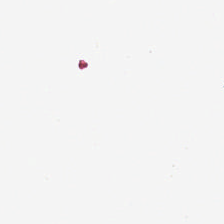This patch shows no tissue.
